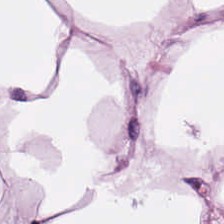H&E-stained tissue section. Q: What tissue is shown?
A: It is adipose.
